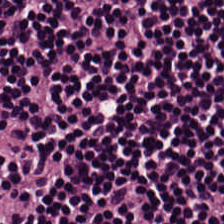H&E stain. Tissue class = lymphocyte aggregate.
